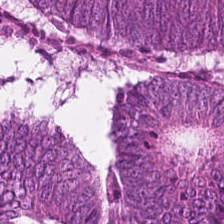Q: What tissue type is shown here?
A: This is colorectal adenocarcinoma epithelium.
